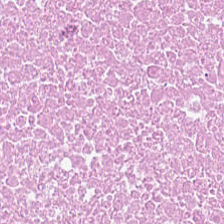0.5 microns per pixel. Hematoxylin-and-eosin stained section. 224×224 pixel tile — The predominant tissue is necrotic debris.
